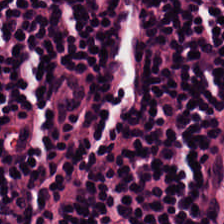Stain: H&E-stained tissue section.
Tissue class: lymphoid infiltrate.
